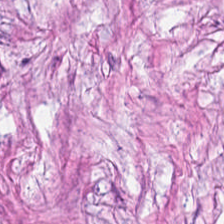FFPE. H&E stain — Showing cancer-associated stroma.
